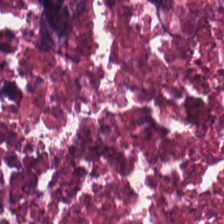Hematoxylin-and-eosin stained section. Q: What tissue is shown?
A: This is necrotic debris.
